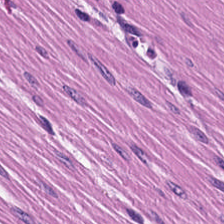H&E-stained tissue section. Q: Identify the tissue.
A: It is smooth-muscle tissue.
